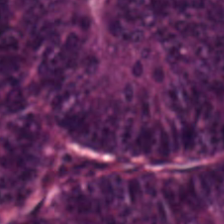Q: What does this patch show?
A: Malignant epithelium.
